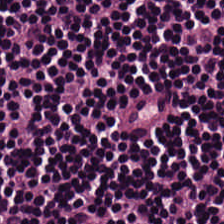Stain: hematoxylin-and-eosin stained section.
Acquisition: brightfield microscopy.
Preparation: FFPE.
Tissue: lymphocytic infiltrate.
